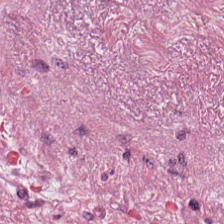Brightfield; H&E-stained tissue section.
Q: What is shown in this field?
A: The field shows tumor stroma.
